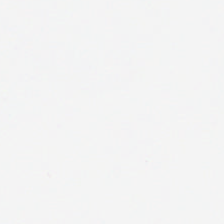H&E. 20× equivalent magnification — No tissue present; background only.
